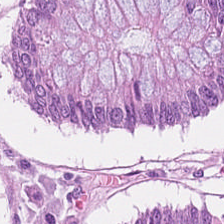H&E-stained tissue section. Formalin-fixed paraffin-embedded section — The predominant tissue is normal colon mucosa.
